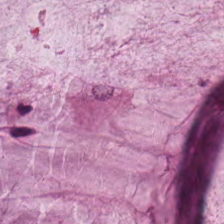Hematoxylin and eosin. Predominantly mucin.
